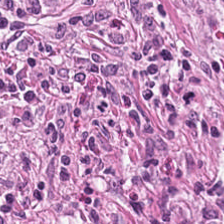H&E stain.
Showing desmoplastic stroma.
